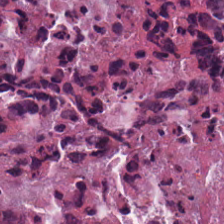Q: What does this patch show?
A: The field shows cellular debris.
